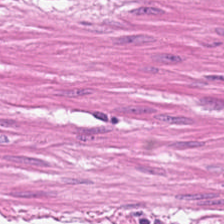H&E patch showing smooth muscle.
